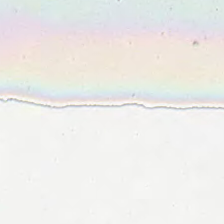Hematoxylin-and-eosin stained section. Q: What is shown in this field?
A: It is no tissue.
